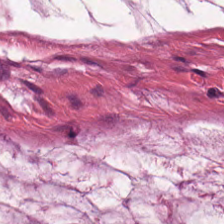H&E. Mucus.
